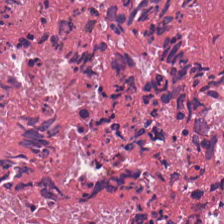Formalin-fixed paraffin-embedded section; hematoxylin-and-eosin stained section; 224×224 px tile.
Cellular debris.
